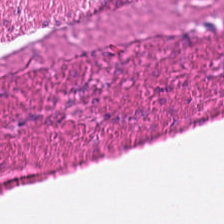FFPE tissue section; H&E-stained tissue section.
Showing smooth-muscle tissue.
